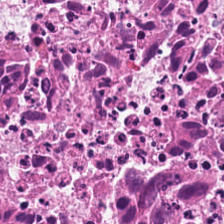20× equivalent magnification. H&E stain — Showing debris.
